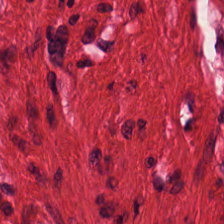H&E-stained section; the field shows smooth muscle.
